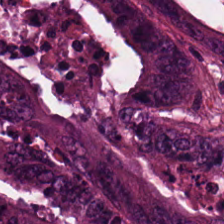H&E · whole-slide-image patch. Classification — colorectal adenocarcinoma.
